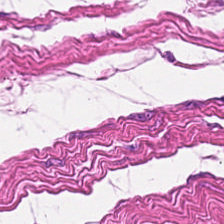Whole-slide-image patch. H&E-stained tissue section.
Predominant tissue: smooth-muscle tissue.
